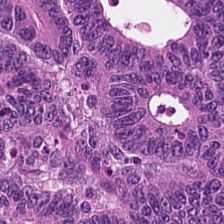H&E — adenocarcinoma.
